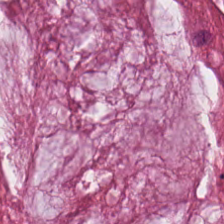H&E-stained tissue section · 224×224 pixel tile. Impression — mucin.
